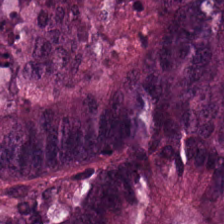20× equivalent magnification. Hematoxylin and eosin. FFPE tissue section — This field is malignant epithelium.
